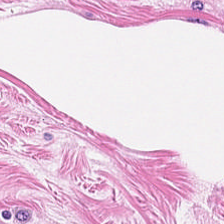Smooth-muscle tissue.
